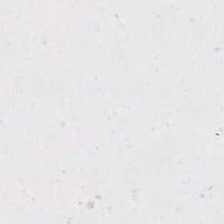Stain: H&E-stained tissue section.
Classification: no tissue.
